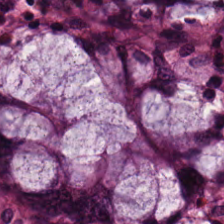Tissue type: normal colon mucosa.
